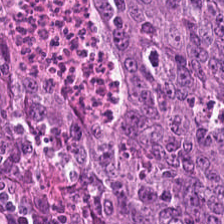Whole-slide-image patch. FFPE. Hematoxylin-and-eosin stained section.
This field is colorectal adenocarcinoma epithelium.
